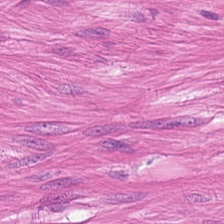This patch shows smooth muscle.
